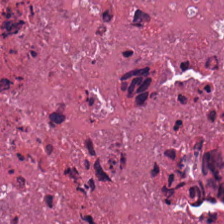H&E-stained tissue section. Impression → debris.
